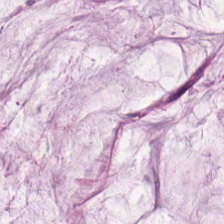H&E stain. This field is mucus.
